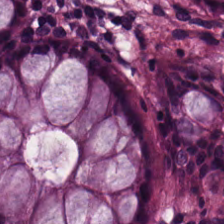Hematoxylin-and-eosin stained section; WSI patch. Impression — normal colon mucosa.
